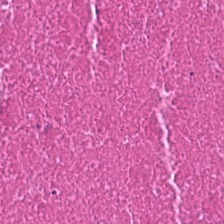Hematoxylin and eosin — Finding → cellular debris.
